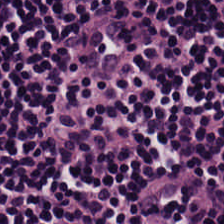Hematoxylin and eosin · 224×224 pixel tile.
Predominantly lymphocytes.
